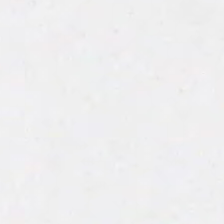Formalin-fixed paraffin-embedded section · hematoxylin and eosin · 20× equivalent magnification. Background — no tissue in this field.
